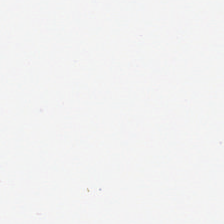H&E — Background (no tissue).
